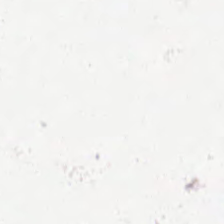Hematoxylin and eosin. FFPE tissue section. Brightfield microscopy.
Background — no tissue in this field.
